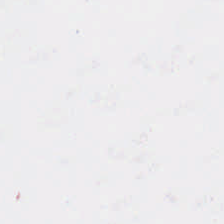Q: Classify this patch.
A: It is background (no tissue).
